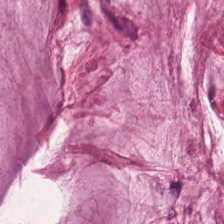H&E-stained tissue section.
The predominant tissue is mucin.
